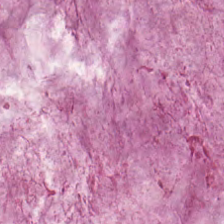H&E-stained tissue section — This patch shows mucus.
